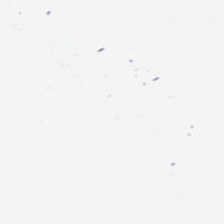0.5 microns per pixel. Hematoxylin-and-eosin stained section.
Impression — no tissue.
